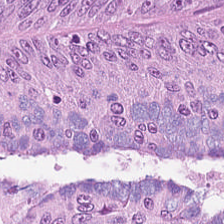224×224 pixel tile; H&E-stained tissue section.
Tissue: tumor epithelium.
